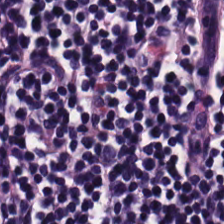224×224 pixel tile · H&E — The predominant tissue is lymphocyte aggregate.
